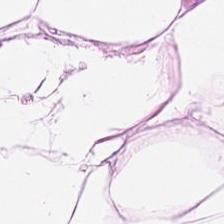H&E-stained tissue section. This patch shows fat tissue.
